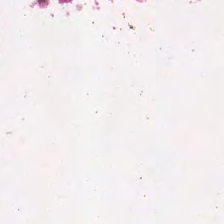Tissue class = necrotic debris.
